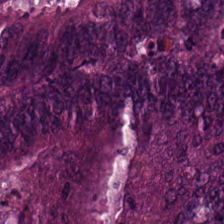H&E-stained tissue section — The tissue here is adenocarcinoma.
